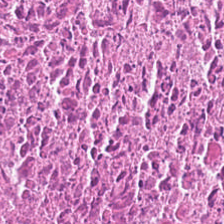H&E stain. The tissue is cellular debris.
